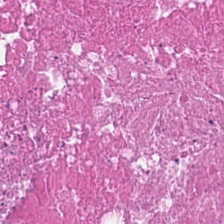H&E-stained tissue section. Histology → necrotic debris.
